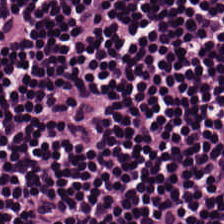WSI patch. FFPE. Hematoxylin-and-eosin stained section. This field is lymphocytic infiltrate.
